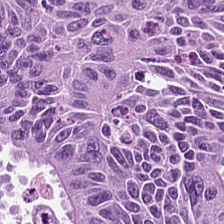Brightfield · H&E stain — Histology — adenocarcinoma.
